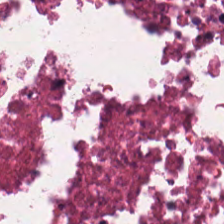Q: What type of tissue is this?
A: This is cellular debris.
